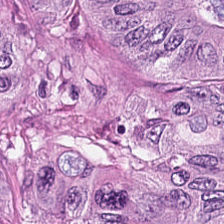Stain: H&E stain.
Preparation: formalin-fixed paraffin-embedded section.
Tissue type: malignant epithelium.
